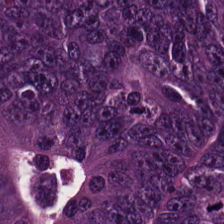Hematoxylin and eosin.
Finding — colorectal adenocarcinoma epithelium.
